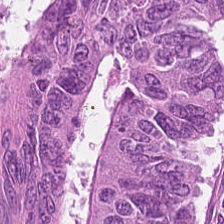FFPE tissue section · H&E-stained tissue section. The predominant tissue is colorectal adenocarcinoma.
